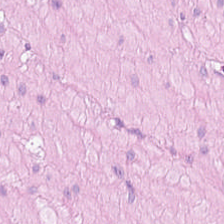Predominant tissue: muscularis.
